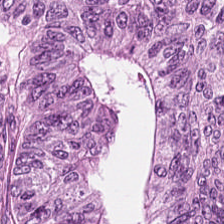Hematoxylin-and-eosin stained section. WSI patch. 0.5 µm per pixel — Predominantly colorectal adenocarcinoma epithelium.
